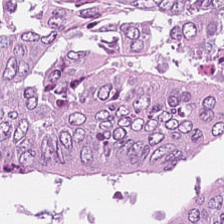224×224 px tile · formalin-fixed paraffin-embedded section · H&E-stained tissue section.
Tumor epithelium.
